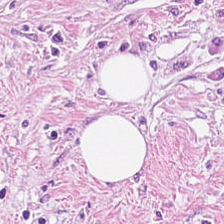Tissue class — tumor stroma.
